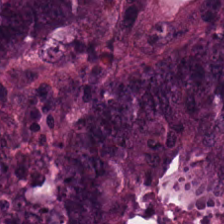Hematoxylin-and-eosin stained section.
Q: What is the predominant tissue type?
A: This is tumor epithelium.
